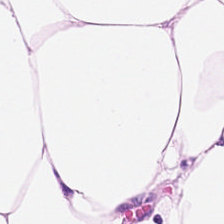H&E — Showing fat tissue.
